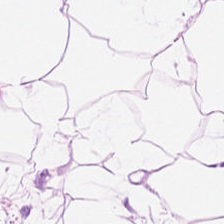H&E.
Tissue type: adipocytes.
